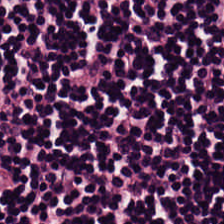H&E-stained section; the field shows lymphocytes.
